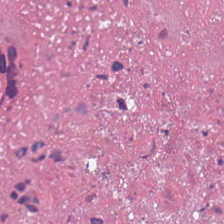H&E · 224×224 px patch.
Cellular debris.
